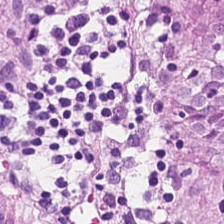Whole-slide-image patch; hematoxylin-and-eosin stained section.
This patch shows non-neoplastic colon mucosa.
